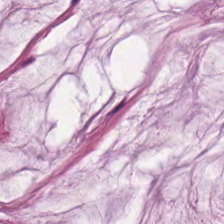Hematoxylin and eosin. Predominant tissue — mucus.
